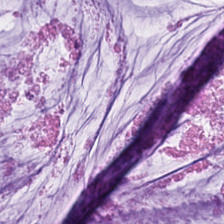Stain: H&E.
Tissue class: extracellular mucin.
